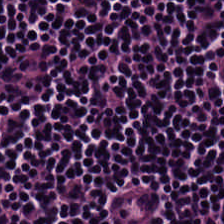H&E-stained tissue section. Brightfield. Tissue class: lymphoid infiltrate.
